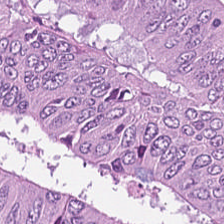Stain: hematoxylin-and-eosin stained section.
Predominant tissue: tumor epithelium.
